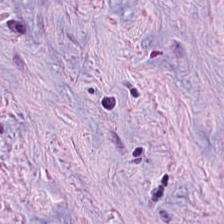Stain: H&E stain.
Tissue: tumor stroma.
